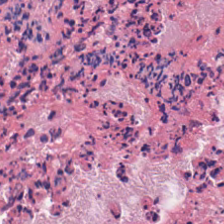Classification — necrotic debris.
